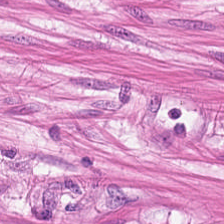FFPE; hematoxylin-and-eosin stained section — Tissue type: muscularis.
